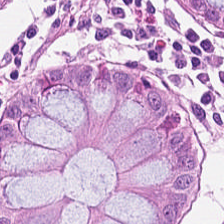Stain: hematoxylin and eosin.
Predominant tissue: normal colon mucosa.
